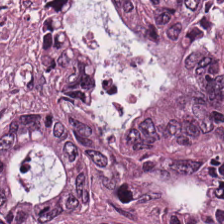H&E-stained section; the field shows adenocarcinoma.
